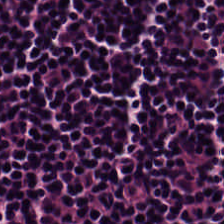Stain: H&E.
Tissue class: lymphocytic infiltrate.
